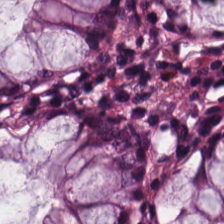Predominant tissue: non-neoplastic colon mucosa.
